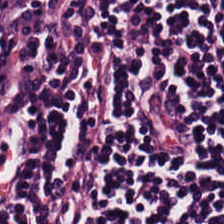Hematoxylin and eosin. 0.5 µm/px — The tissue class is lymphocytic infiltrate.
